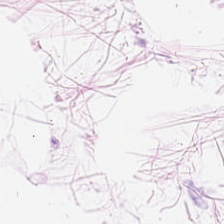Hematoxylin-and-eosin stained section.
Q: What tissue type is shown here?
A: The field shows adipose tissue.
